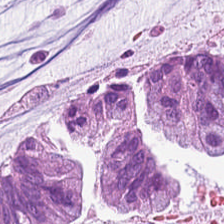The tissue class is extracellular mucin.
